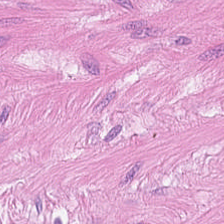H&E. The predominant tissue is muscularis.
